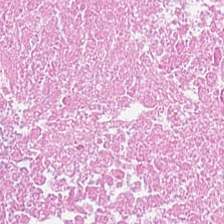H&E · 224×224 px patch — Classification — debris.
